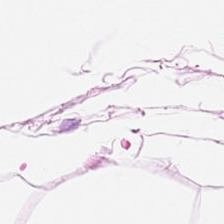Hematoxylin and eosin. This patch shows adipose.
